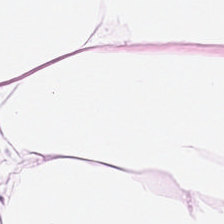Hematoxylin and eosin · 224×224 pixel tile — This field is fat tissue.
